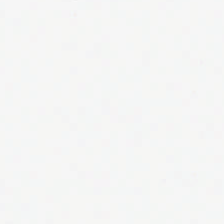224×224 px tile; hematoxylin and eosin. Q: Classify this patch.
A: The field shows empty background.
